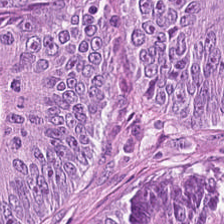H&E-stained tissue section. Q: What type of tissue is this?
A: Colorectal adenocarcinoma epithelium.
